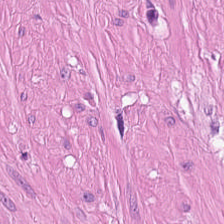Stain: H&E.
Resolution: 20× equivalent magnification.
Predominant tissue: smooth muscle.
